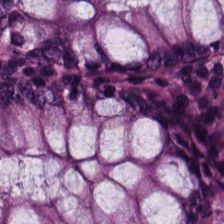Q: What is shown in this field?
A: Normal colon mucosa.
